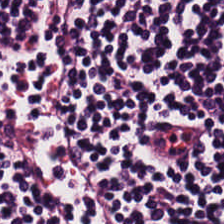Showing lymphocytic infiltrate.
